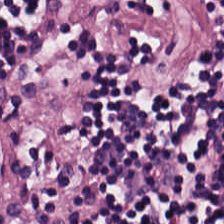Formalin-fixed paraffin-embedded section; H&E — This field is lymphocytic infiltrate.
